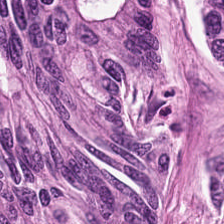H&E-stained tissue section.
Tissue class — malignant epithelium.
